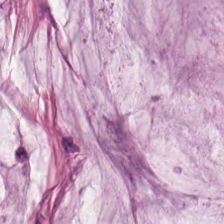Hematoxylin and eosin — Predominant tissue = extracellular mucin.
